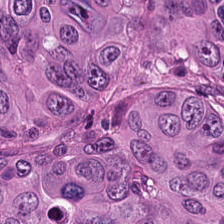20× equivalent magnification · hematoxylin and eosin.
Showing colorectal adenocarcinoma epithelium.
